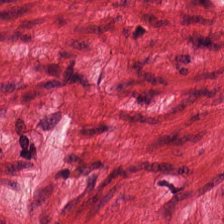224×224 px patch; H&E-stained tissue section — Q: What tissue type is shown here?
A: This is smooth-muscle tissue.
